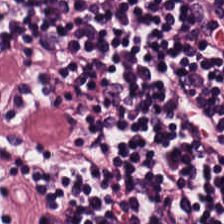Hematoxylin-and-eosin stained section.
The tissue class is lymphocytes.
